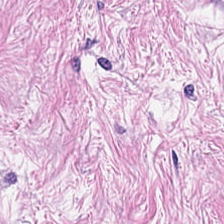{"tissue_type": "cancer-associated stroma"}
